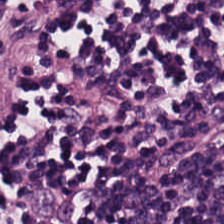Formalin-fixed paraffin-embedded section. H&E.
This field is lymphocytes.
